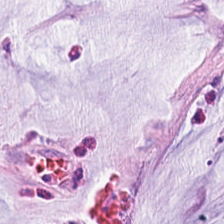Stain: hematoxylin and eosin.
Classification: mucin.
